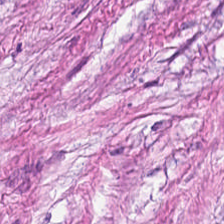H&E-stained tissue section. The tissue class is desmoplastic stroma.
